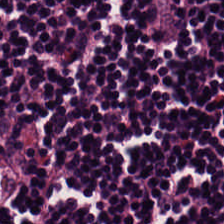Tissue type = lymphoid infiltrate.
